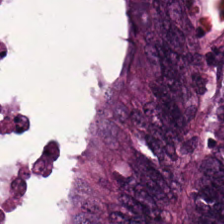Formalin-fixed paraffin-embedded section. 0.5 microns per pixel. H&E-stained tissue section. Showing tumor epithelium.
